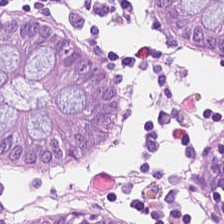Hematoxylin-and-eosin stained section — This patch shows normal colon mucosa.
